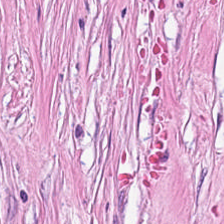H&E; 224×224 px tile; brightfield — Predominant tissue — desmoplastic stroma.
